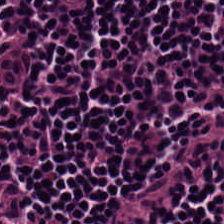FFPE tissue section; hematoxylin-and-eosin stained section.
Tissue type: lymphocytic infiltrate.
